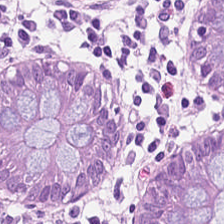H&E-stained tissue section.
Histology — normal colon mucosa.
